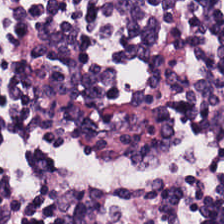H&E-stained tissue section.
This field is lymphocyte aggregate.
